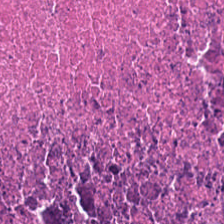Formalin-fixed paraffin-embedded section. H&E.
This field is necrotic debris.
